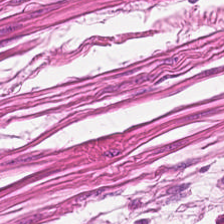Hematoxylin and eosin. Classification: smooth-muscle tissue.
